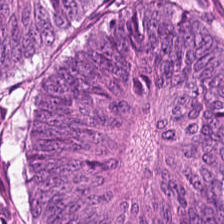Stain: hematoxylin-and-eosin stained section.
Tissue type: malignant epithelium.
